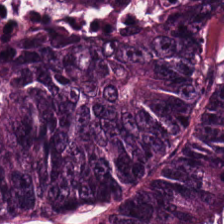WSI patch; H&E. Tissue class = colorectal adenocarcinoma epithelium.
